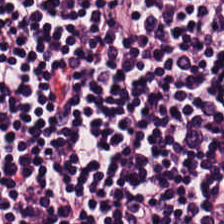H&E-stained tissue section.
{"tissue_type": "lymphocyte aggregate"}
